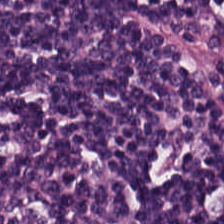H&E stain — The tissue here is lymphocyte aggregate.
